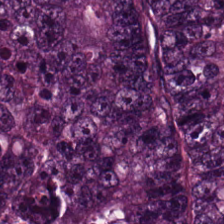224×224 px patch; hematoxylin and eosin; formalin-fixed paraffin-embedded section. Showing tumor epithelium.
